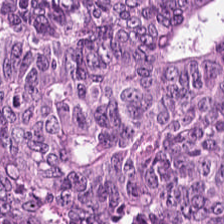H&E. This patch shows adenocarcinoma.
